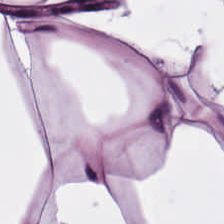Hematoxylin-and-eosin stained section — Q: What does this patch show?
A: Adipose.
